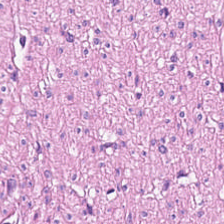Classification — muscularis.
